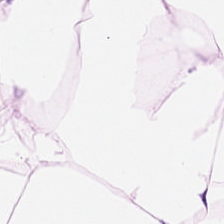Hematoxylin and eosin — The tissue here is adipocytes.
